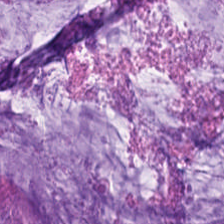Stain: hematoxylin-and-eosin stained section.
Tile size: 224×224 px tile.
Resolution: 20× equivalent magnification.
Tissue: extracellular mucin.
